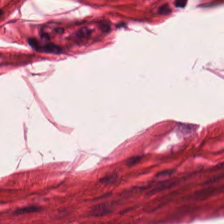H&E stain. Formalin-fixed paraffin-embedded section.
Showing smooth-muscle tissue.
